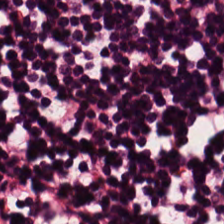H&E — The tissue class is lymphoid infiltrate.
